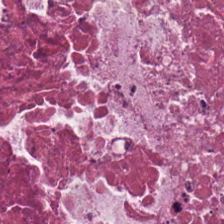The tissue here is cellular debris.
